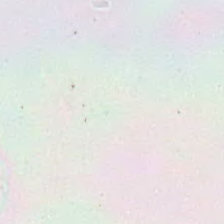Hematoxylin-and-eosin stained section.
Q: Classify this patch.
A: This is no tissue.
